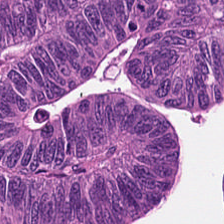Q: What does this patch show?
A: It is colorectal adenocarcinoma.
